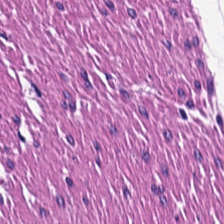Classification — smooth-muscle tissue.
